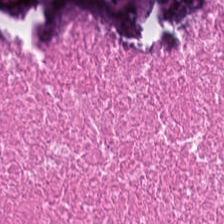Q: What is the predominant tissue type?
A: It is cellular debris.
